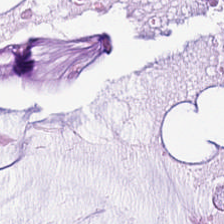Hematoxylin-and-eosin stained section.
This patch shows mucus.
